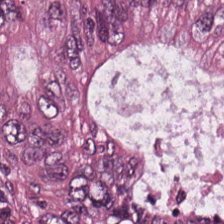H&E stain — Histology — malignant epithelium.
